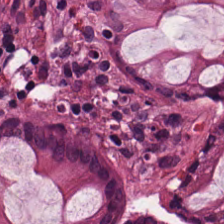Stain: H&E.
Tissue type: non-neoplastic colon mucosa.
